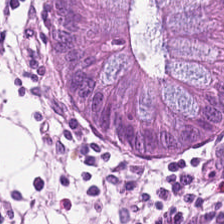Whole-slide-image patch. Hematoxylin-and-eosin stained section. 0.5 µm/px. The tissue here is non-neoplastic colon mucosa.
